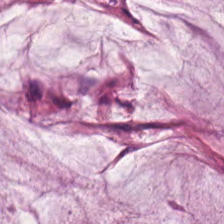Hematoxylin-and-eosin stained section. Classification = extracellular mucin.
